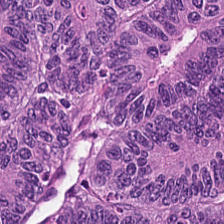Hematoxylin and eosin. 0.5 µm/px. 224×224 px patch. Malignant epithelium.
